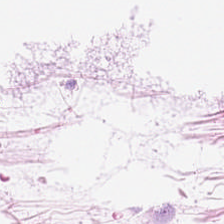Hematoxylin and eosin. Histology — adipose.
